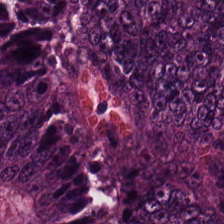Hematoxylin and eosin. Finding — malignant epithelium.
